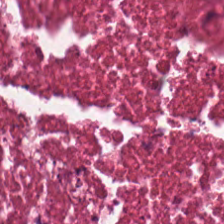H&E-stained section; the field shows debris.
